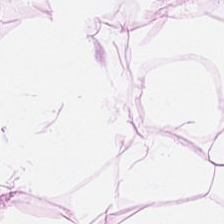Stain: hematoxylin and eosin.
Tissue class: adipocytes.
